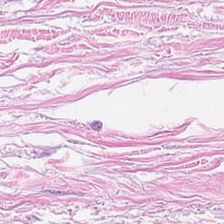Stain: H&E.
Predominant tissue: tumor stroma.
